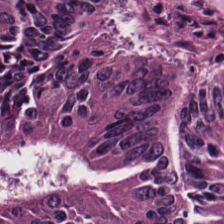FFPE · hematoxylin and eosin · 224×224 px tile — Predominantly adenocarcinoma.
